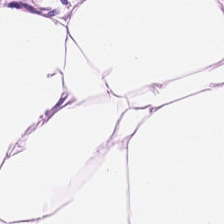H&E-stained tissue section. Predominantly adipose tissue.
